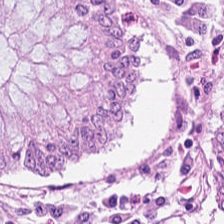H&E; 0.5 microns per pixel — The predominant tissue is normal colon mucosa.
